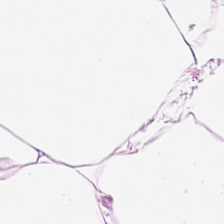{"tissue_type": "adipocytes"}
